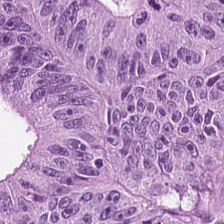Malignant epithelium.
